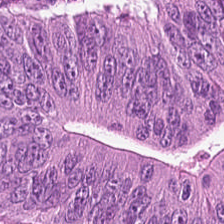H&E stain. The predominant tissue is colorectal adenocarcinoma epithelium.
